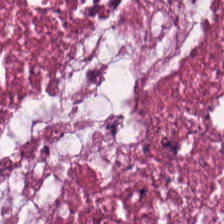0.5 microns per pixel · hematoxylin and eosin. Showing necrotic debris.
